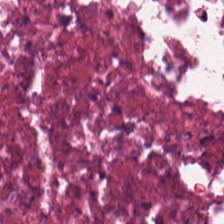H&E-stained tissue section; 224×224 px tile.
Finding — debris.
